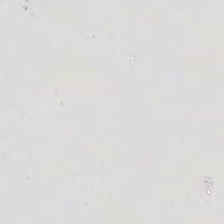WSI patch; H&E stain. No tissue present; background only.
